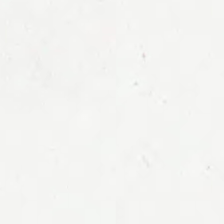H&E-stained tissue section — Q: What is shown in this field?
A: This is empty background.
